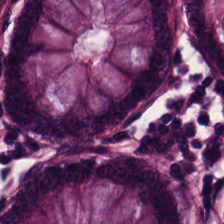Hematoxylin and eosin.
Classification — normal colon mucosa.
